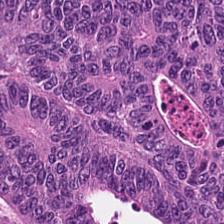Hematoxylin and eosin. The tissue here is tumor epithelium.
